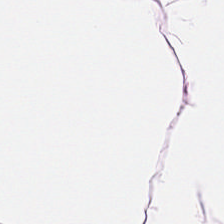Predominant tissue: adipocytes.
